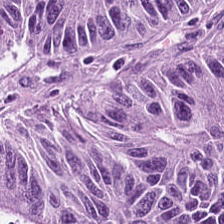Hematoxylin and eosin — Predominantly malignant epithelium.
